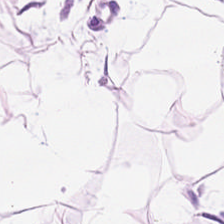Tissue type: fat tissue.
